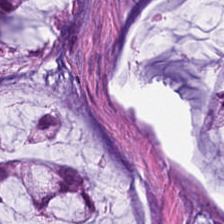224×224 px patch; FFPE; H&E stain. The classification is extracellular mucin.
